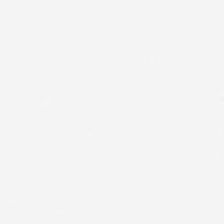Stain: H&E-stained tissue section.
Field content: background.
